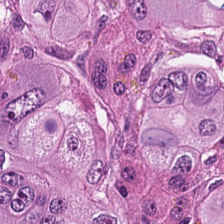Hematoxylin-and-eosin stained section · 0.5 µm per pixel. {"tissue_type": "adenocarcinoma"}
